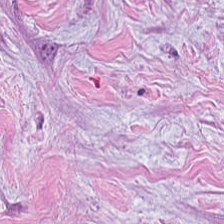Classification = tumor stroma.
